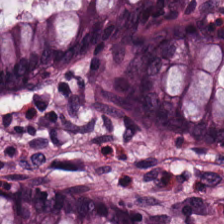Hematoxylin-and-eosin stained section. Impression → benign colonic mucosa.
